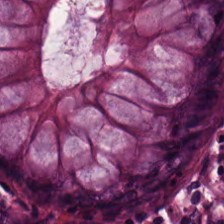H&E stain.
Q: What is shown in this field?
A: This is non-neoplastic colon mucosa.
